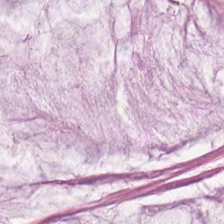Hematoxylin-and-eosin stained section · WSI patch. This patch shows mucin.
